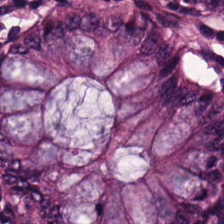Hematoxylin-and-eosin stained section · 0.5 microns per pixel · FFPE. Classification — normal colonic mucosa.
